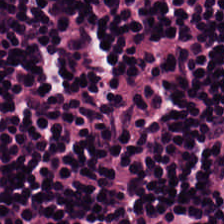H&E-stained tissue section · 224×224 pixel tile · brightfield — This field is lymphoid infiltrate.
